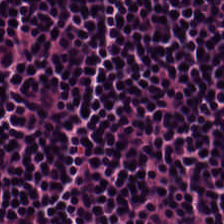H&E stain — Showing lymphocyte aggregate.
